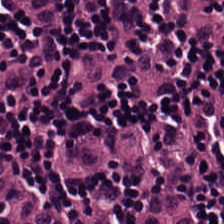Hematoxylin-and-eosin stained section · WSI patch · FFPE — Classification: lymphocytic infiltrate.
